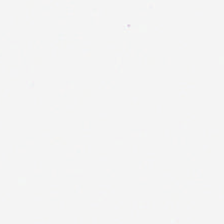0.5 µm per pixel. H&E-stained tissue section. No tissue present; background only.
